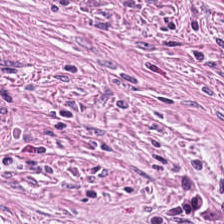H&E — The tissue class is tumor stroma.
